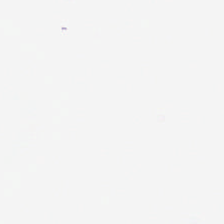H&E stain.
No tissue present; background only.
